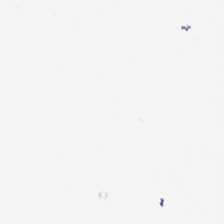Hematoxylin and eosin.
Field content = no tissue.
